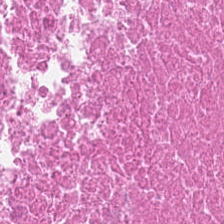Q: Classify this patch.
A: The field shows necrotic debris.
